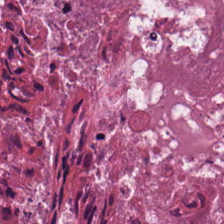Stain: hematoxylin-and-eosin stained section.
Tissue type: debris.
